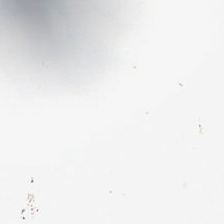H&E stain. 224×224 px tile. FFPE tissue section — Q: Classify this patch.
A: It is background.
